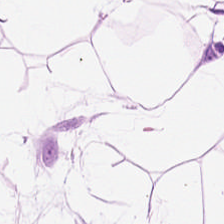H&E — Fat tissue.
